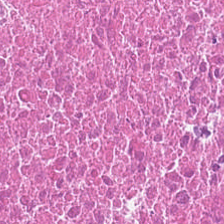Finding → debris.
